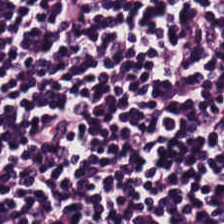Hematoxylin-and-eosin stained section.
Finding → lymphoid infiltrate.
